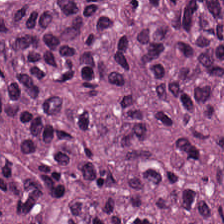FFPE tissue section; H&E.
Impression → malignant epithelium.
